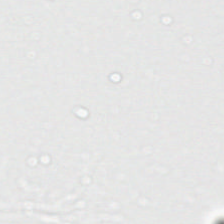Hematoxylin-and-eosin stained section · FFPE. Impression → no tissue.
